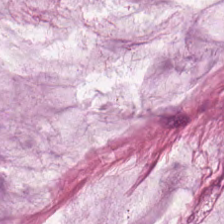Hematoxylin-and-eosin stained section. FFPE. Finding → mucin.
